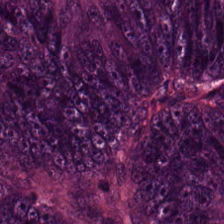Hematoxylin-and-eosin stained section · 20× equivalent magnification — This patch shows tumor epithelium.
